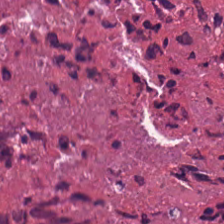H&E stain.
Classification — debris.
